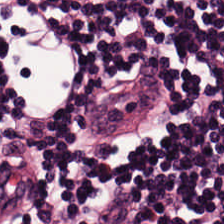Histology → lymphoid infiltrate.
